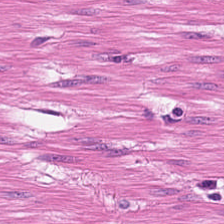0.5 µm per pixel; H&E-stained tissue section.
Tissue class: smooth-muscle tissue.
